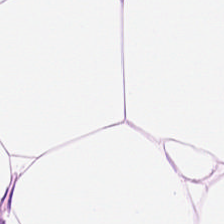H&E.
The tissue type is adipocytes.
